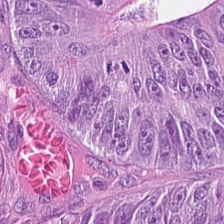Hematoxylin-and-eosin stained section — Tissue: colorectal adenocarcinoma epithelium.
